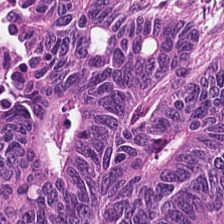224×224 pixel tile · hematoxylin-and-eosin stained section · 0.5 microns per pixel.
Q: What is the predominant tissue type?
A: Malignant epithelium.
